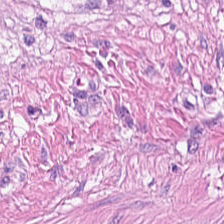Stain: hematoxylin-and-eosin stained section.
Preparation: formalin-fixed paraffin-embedded section.
Tissue class: smooth muscle.
